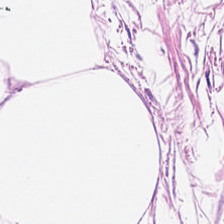Stain: hematoxylin and eosin.
Classification: adipose tissue.
